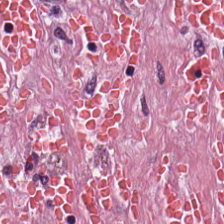FFPE; 0.5 microns per pixel; hematoxylin and eosin.
Q: What does this patch show?
A: This is tumor-associated stroma.
